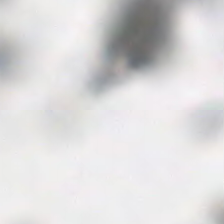H&E stain. Q: What is shown in this field?
A: Empty background.
